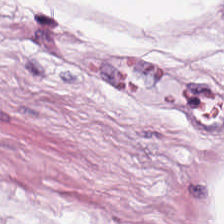Hematoxylin and eosin. WSI patch — The predominant tissue is adipose.
